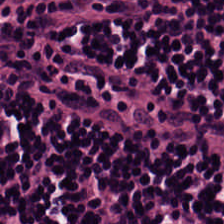FFPE tissue section. Hematoxylin-and-eosin stained section — Histology → lymphocyte aggregate.
